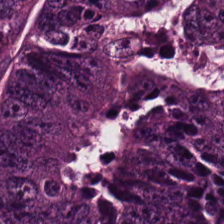Formalin-fixed paraffin-embedded section; H&E stain; brightfield.
Tissue — colorectal adenocarcinoma epithelium.
